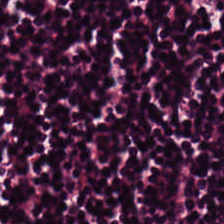FFPE tissue section. H&E.
Q: What does this patch show?
A: Lymphocyte aggregate.
